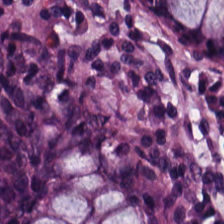Stain: H&E stain.
Resolution: 0.5 microns per pixel.
Classification: non-neoplastic colon mucosa.
